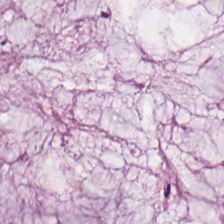WSI patch · hematoxylin and eosin. Histology → mucus.
